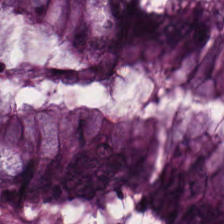H&E stain; 224×224 pixel tile. Tissue type — benign colonic mucosa.
